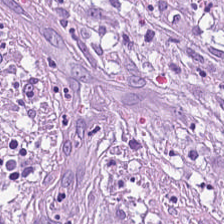H&E. 224×224 px patch. The tissue type is cancer-associated stroma.
